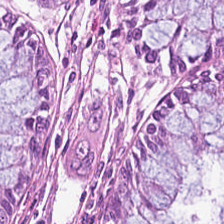H&E stain. Brightfield — {"tissue_type": "normal colonic mucosa"}
